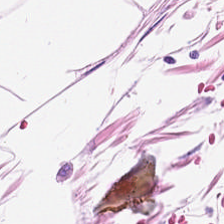Finding → adipose.
